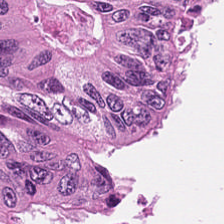WSI patch · H&E. Q: What is the predominant tissue type?
A: Debris.
